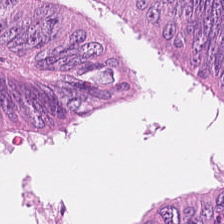Stain: hematoxylin-and-eosin stained section.
Preparation: FFPE tissue section.
Tissue type: colorectal adenocarcinoma.
